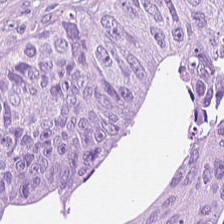Tissue: tumor epithelium.
